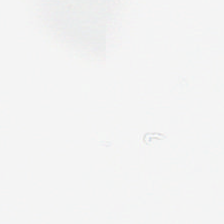H&E stain. 224×224 pixel tile — Classification = no tissue.
